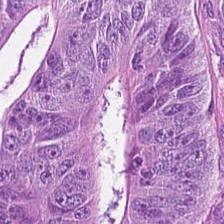The tissue here is adenocarcinoma.
